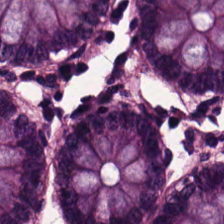Hematoxylin and eosin. The predominant tissue is normal colonic mucosa.
